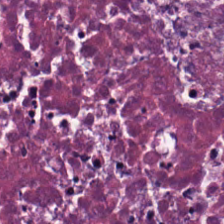Tissue class — necrotic debris.
